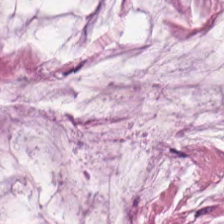H&E-stained tissue section — Predominant tissue — mucus.
